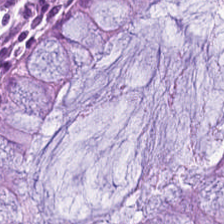Formalin-fixed paraffin-embedded section · H&E. Q: What is shown in this field?
A: It is benign colonic mucosa.
